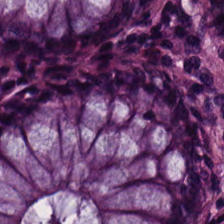H&E-stained tissue section.
Histology — benign colonic mucosa.
